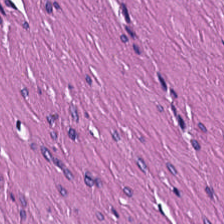Stain: hematoxylin and eosin.
Acquisition: whole-slide-image patch.
Predominant tissue: smooth muscle.
